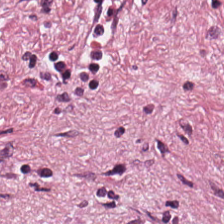H&E-stained tissue section. 224×224 px tile. Impression — tumor stroma.
